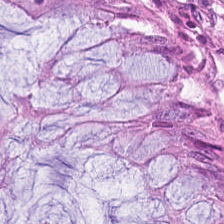Tissue class — benign colonic mucosa.
